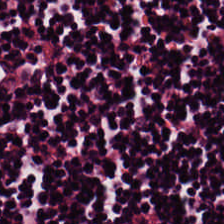Hematoxylin and eosin — The predominant tissue is lymphocytes.
